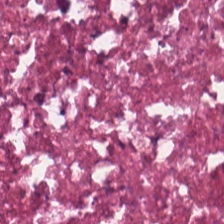224×224 px tile. H&E stain.
The tissue here is cellular debris.
